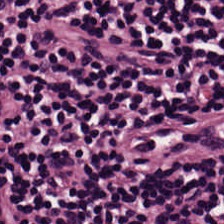FFPE tissue section; H&E.
Classification: lymphocytes.
